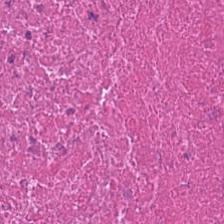Hematoxylin and eosin. Cellular debris.
